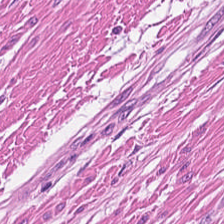Stain: hematoxylin and eosin.
Acquisition: WSI patch.
Resolution: 0.5 microns per pixel.
Classification: muscularis.
